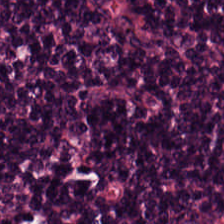Hematoxylin and eosin.
Q: What does this patch show?
A: Lymphocytic infiltrate.
